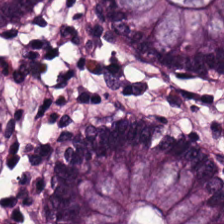H&E-stained tissue section — Impression → benign colonic mucosa.
